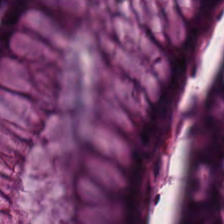H&E; 224×224 pixel tile — Predominantly normal colonic mucosa.
